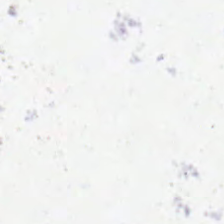H&E stain. Formalin-fixed paraffin-embedded section.
Q: Classify this patch.
A: It is background.
